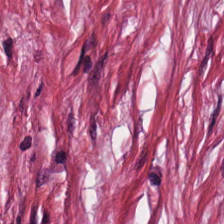Hematoxylin and eosin.
Q: Classify this patch.
A: Tumor-associated stroma.
